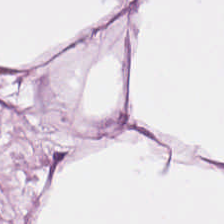Impression — adipose tissue.
